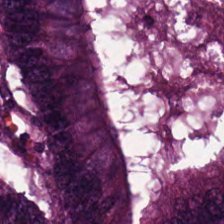H&E; 0.5 µm/px; 224×224 pixel tile. Q: What is shown here?
A: Malignant epithelium.
